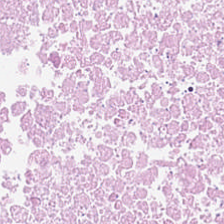H&E; 224×224 pixel tile. Q: What type of tissue is this?
A: It is necrotic debris.
